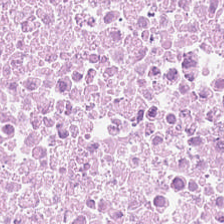H&E stain. Predominantly debris.
